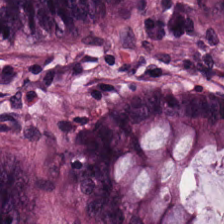Stain: H&E stain.
Tissue class: normal colon mucosa.
